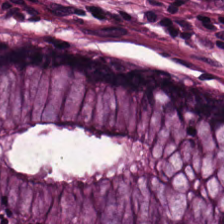Hematoxylin and eosin.
This patch shows normal colon mucosa.
